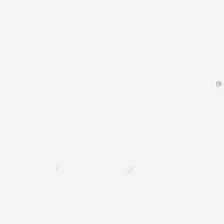H&E.
{"content": "empty background"}
